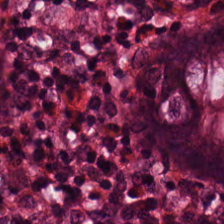Hematoxylin-and-eosin section: normal colonic mucosa.
